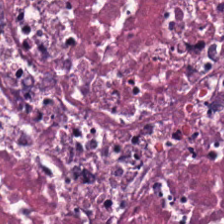Predominantly necrotic debris.
